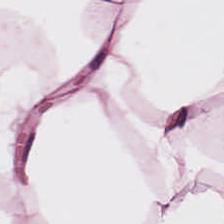H&E · whole-slide-image patch · formalin-fixed paraffin-embedded section — This field is adipose tissue.
